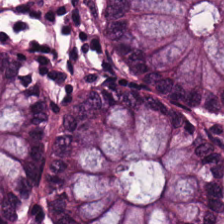Q: Classify this patch.
A: It is non-neoplastic colon mucosa.
